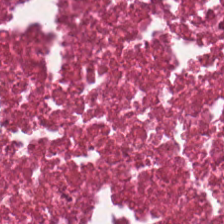Hematoxylin and eosin — This field is necrotic debris.
